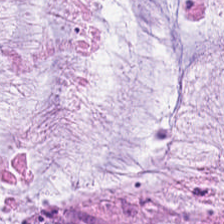H&E. Tissue class: extracellular mucin.
